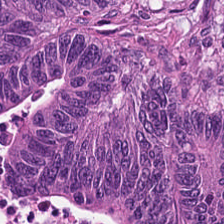This patch shows malignant epithelium.
